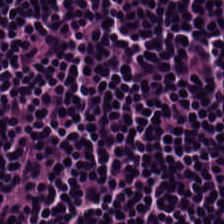Stain: H&E-stained tissue section.
Tissue class: lymphocytic infiltrate.
